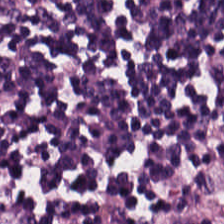H&E-stained tissue section.
This patch shows lymphocytes.
